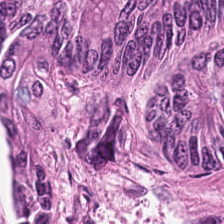H&E stain. Histology — malignant epithelium.
